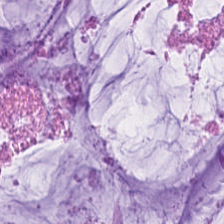Hematoxylin-and-eosin stained section. Impression → mucus.
